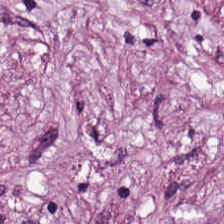Hematoxylin and eosin.
Predominantly cancer-associated stroma.
